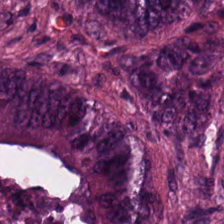H&E · 0.5 µm/px. Predominant tissue = malignant epithelium.
